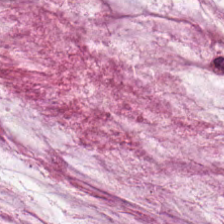H&E-stained section; the field shows mucus.
